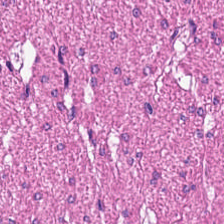Hematoxylin-and-eosin stained section — Showing muscularis.
